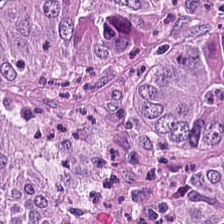Stain: H&E stain.
Resolution: 0.5 µm per pixel.
Classification: colorectal adenocarcinoma.
